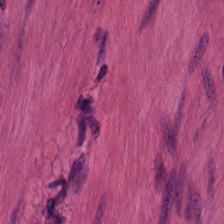Hematoxylin and eosin — Predominant tissue: smooth-muscle tissue.
